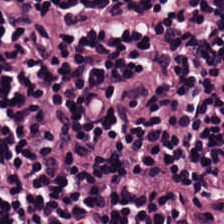{"tissue_type": "lymphocyte aggregate"}
